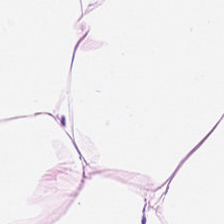H&E-stained tissue section — Q: What tissue type is shown here?
A: Adipose.
